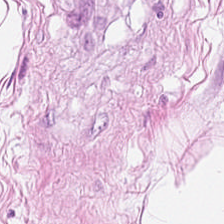Q: What tissue type is shown here?
A: This is adipose tissue.
